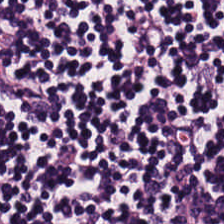H&E stain.
This field is lymphocyte aggregate.
